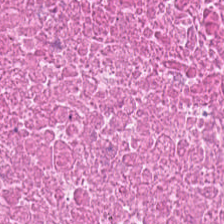Hematoxylin and eosin.
{"tissue_type": "necrotic debris"}
